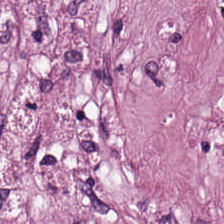Tissue type — tumor stroma.
